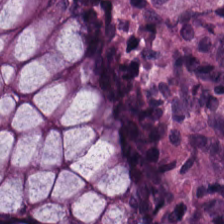Stain: H&E.
Tissue type: normal colon mucosa.
